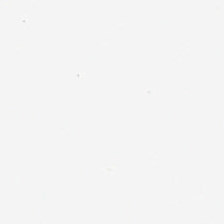Classification: background.
